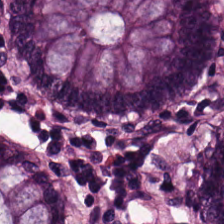Q: What tissue is shown?
A: This is non-neoplastic colon mucosa.
